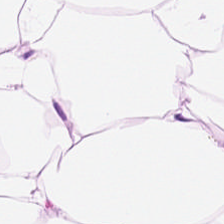H&E-stained section; the field shows adipose tissue.
